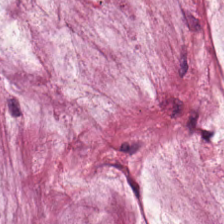Formalin-fixed paraffin-embedded section. H&E. Q: What tissue type is shown here?
A: The field shows mucin.
